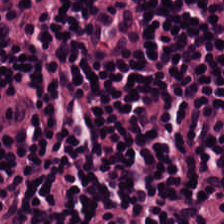H&E stain; 224×224 px tile.
Classification: lymphocytic infiltrate.
